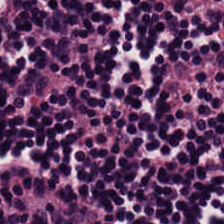Hematoxylin and eosin — Histology → lymphocyte aggregate.
